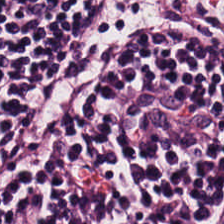H&E. 224×224 pixel tile. Finding — lymphoid infiltrate.
